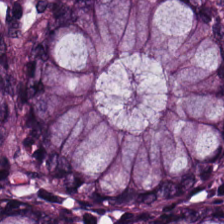Q: What is the predominant tissue type?
A: This is benign colonic mucosa.
